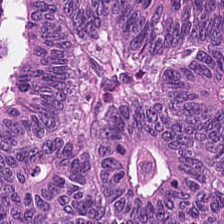H&E stain.
Q: What type of tissue is this?
A: Tumor epithelium.
